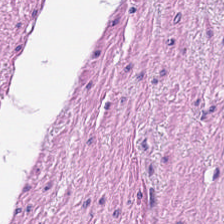Brightfield; H&E stain. Predominantly muscularis.
